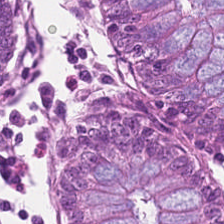Hematoxylin-and-eosin stained section — The classification is normal colon mucosa.
